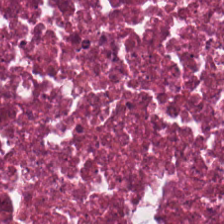Q: Classify this patch.
A: The field shows debris.
